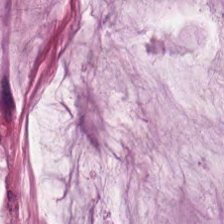H&E stain. Formalin-fixed paraffin-embedded section.
Q: What is the predominant tissue type?
A: The field shows mucin.
